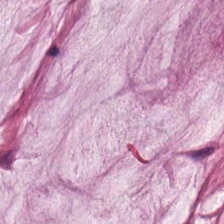Hematoxylin-and-eosin stained section. Q: What type of tissue is this?
A: The field shows mucin.
